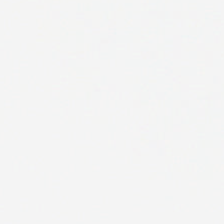H&E-stained tissue section. Field content — empty background.
